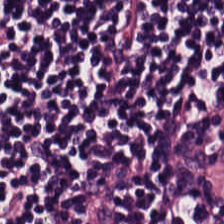Hematoxylin and eosin. Brightfield microscopy.
Tissue = lymphocytic infiltrate.
